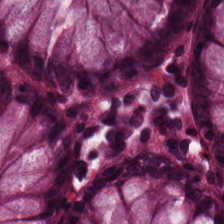Hematoxylin-and-eosin stained section; 20× equivalent magnification. This field is normal colonic mucosa.
